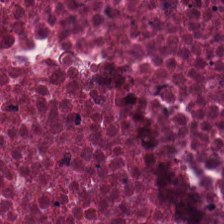Tissue class: cellular debris.
